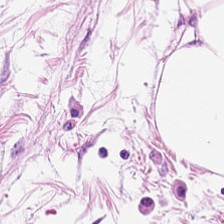0.5 microns per pixel · H&E-stained tissue section — The classification is fat tissue.
